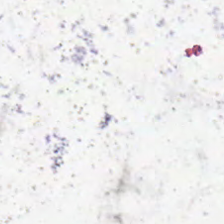FFPE; hematoxylin and eosin — Q: Classify this patch.
A: Empty background.
